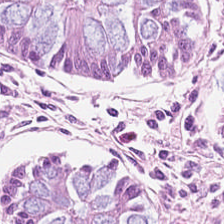0.5 µm/px; FFPE; H&E-stained tissue section.
Classification: benign colonic mucosa.
